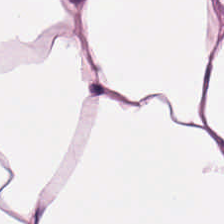Impression → fat tissue.
